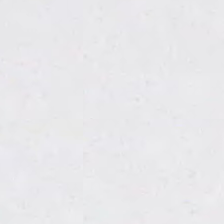Hematoxylin-and-eosin stained section.
Empty field — background (no tissue).
